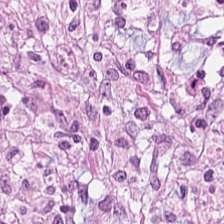WSI patch. 224×224 px patch. Hematoxylin and eosin — {"tissue_type": "desmoplastic stroma"}
